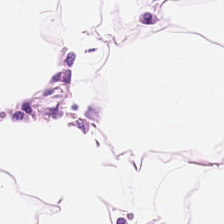Formalin-fixed paraffin-embedded section; hematoxylin and eosin. Histology — adipose tissue.
